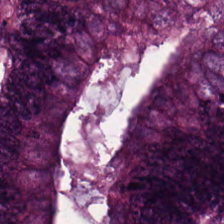H&E-stained section; the field shows colorectal adenocarcinoma.
